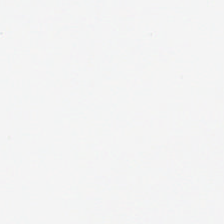Hematoxylin and eosin — Background.
